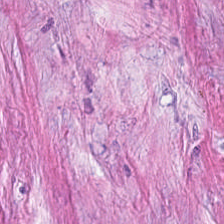H&E. Q: What tissue is shown?
A: It is tumor stroma.
